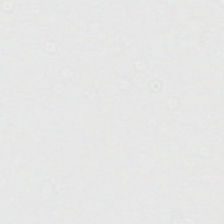H&E.
Empty field — background.
